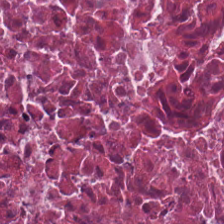FFPE; 0.5 microns per pixel; hematoxylin-and-eosin stained section. Predominant tissue = debris.
